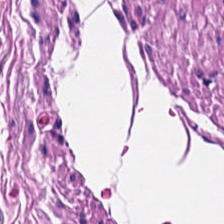Stain: H&E stain.
Tile size: 224×224 pixel tile.
Predominant tissue: muscularis.
